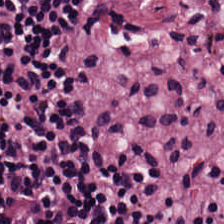H&E-stained tissue section.
{"tissue_type": "lymphoid infiltrate"}
